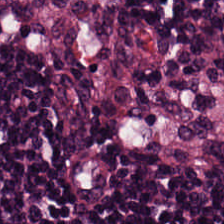This field is lymphocytes.
